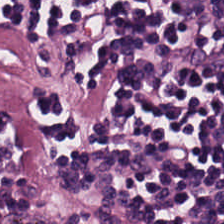H&E stain; 0.5 µm per pixel. Finding — lymphocytes.
